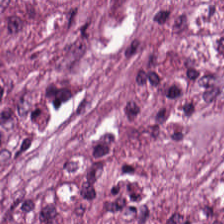H&E.
Histology — tumor-associated stroma.
